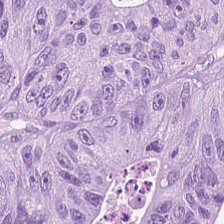Q: What tissue type is shown here?
A: The field shows tumor epithelium.
